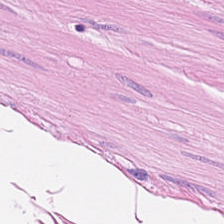Q: What is shown in this field?
A: This is smooth muscle.
